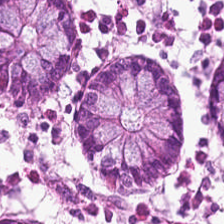WSI patch; H&E-stained tissue section — This field is non-neoplastic colon mucosa.
